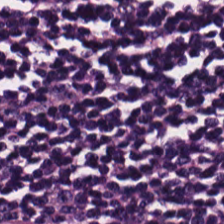Stain: hematoxylin and eosin.
Resolution: 20× equivalent magnification.
Preparation: FFPE.
Tissue class: lymphocytic infiltrate.
